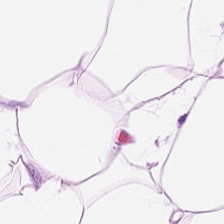0.5 µm/px. Hematoxylin-and-eosin stained section.
Fat tissue.
